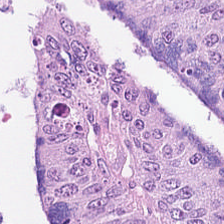Stain: H&E-stained tissue section.
Predominant tissue: colorectal adenocarcinoma epithelium.
